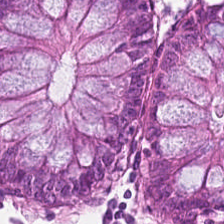Stain: H&E-stained tissue section.
Tile size: 224×224 px tile.
Tissue type: normal colon mucosa.
